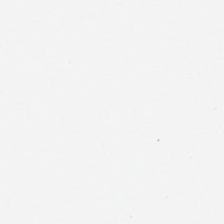FFPE tissue section. 20× equivalent magnification. Hematoxylin-and-eosin stained section — Q: What is shown in this field?
A: The field shows background.
